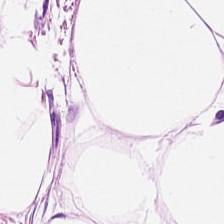Hematoxylin and eosin · brightfield — Q: What tissue is shown?
A: This is adipose.
